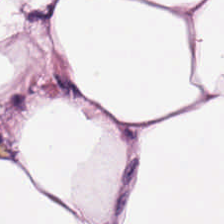Showing fat tissue.
